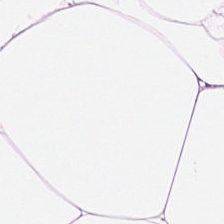Hematoxylin-and-eosin stained section — This patch shows adipose tissue.
